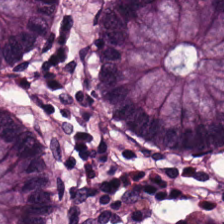H&E-stained tissue section. Whole-slide-image patch.
Q: What type of tissue is this?
A: Normal colonic mucosa.
